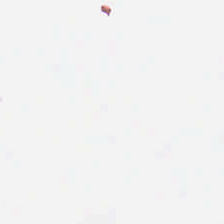Hematoxylin and eosin.
Empty field — empty background.
